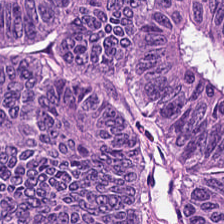H&E · formalin-fixed paraffin-embedded section. This patch shows colorectal adenocarcinoma epithelium.
